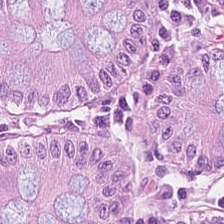Hematoxylin and eosin · 224×224 pixel tile.
Q: What is the predominant tissue type?
A: The field shows normal colon mucosa.
